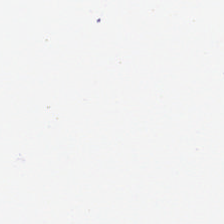H&E stain.
Field content: background (no tissue).
